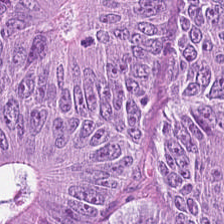Stain: H&E stain.
Tissue class: colorectal adenocarcinoma epithelium.
